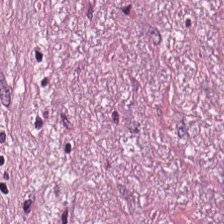Brightfield microscopy; H&E-stained tissue section — Q: What does this patch show?
A: It is cancer-associated stroma.
